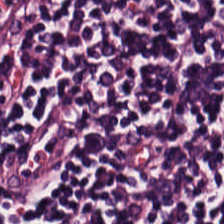Formalin-fixed paraffin-embedded section; H&E-stained tissue section. Q: What is the predominant tissue type?
A: Lymphocyte aggregate.
